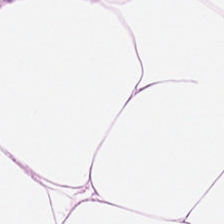WSI patch. Hematoxylin and eosin. Q: What is shown here?
A: Adipose.
